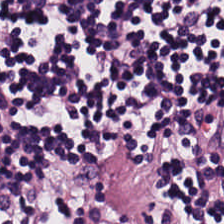Classification = lymphocyte aggregate.
